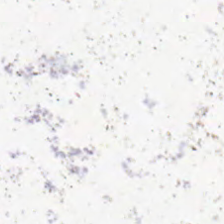20× equivalent magnification. H&E stain — Empty field — empty background.
